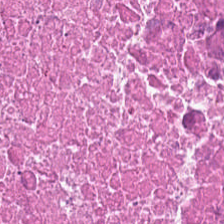H&E stain. Q: Classify this patch.
A: The field shows necrotic debris.
